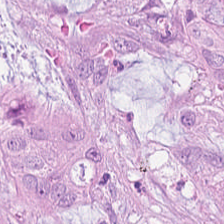Stain: hematoxylin and eosin.
Classification: colorectal adenocarcinoma.
